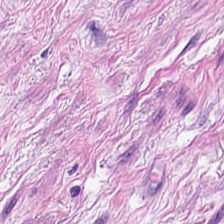The tissue class is muscularis.
